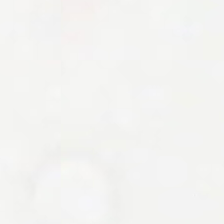Background — no tissue in this field.
